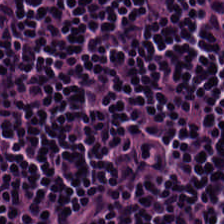Stain: H&E-stained tissue section.
Tissue type: lymphocytic infiltrate.
